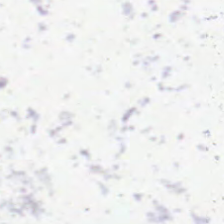Impression → background.
